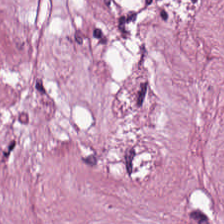WSI patch; H&E stain; 0.5 µm per pixel — Predominant tissue: cancer-associated stroma.
